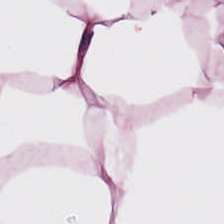Classification — adipocytes.
